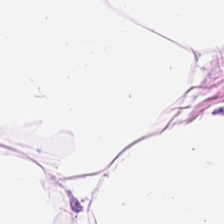Stain: hematoxylin-and-eosin stained section.
Preparation: FFPE tissue section.
Tissue type: adipose tissue.
